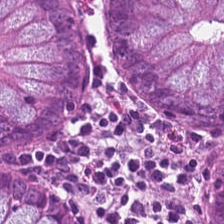Formalin-fixed paraffin-embedded section. 224×224 px tile. H&E-stained tissue section — Normal colon mucosa.
